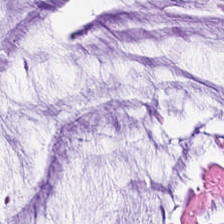Histology — mucus.
